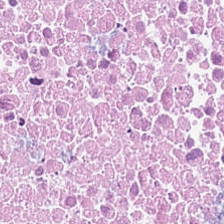224×224 px tile · whole-slide-image patch · H&E. The tissue type is debris.
